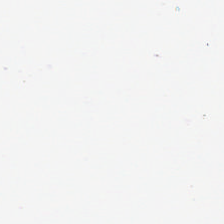224×224 pixel tile · H&E stain — Finding — empty background.
